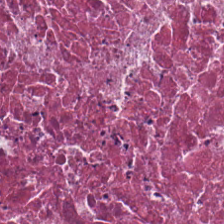Hematoxylin-and-eosin stained section. FFPE. 0.5 µm/px.
Histology — necrotic debris.
